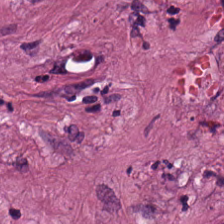224×224 pixel tile · hematoxylin-and-eosin stained section. Classification: tumor stroma.
